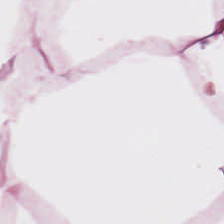224×224 px patch · H&E-stained tissue section.
Showing adipose.
